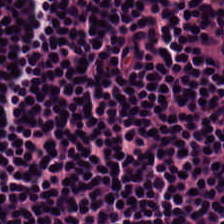Hematoxylin and eosin — Classification — lymphoid infiltrate.
